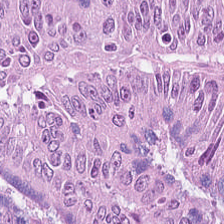Hematoxylin and eosin — The tissue here is tumor epithelium.
